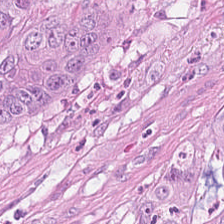224×224 pixel tile; H&E. The tissue type is colorectal adenocarcinoma epithelium.
